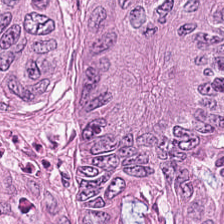H&E. Predominant tissue = colorectal adenocarcinoma.
